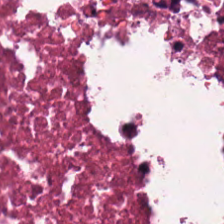Histology — cellular debris.
